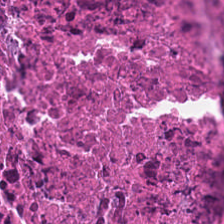0.5 µm/px; hematoxylin and eosin — Q: What tissue type is shown here?
A: The field shows cellular debris.
